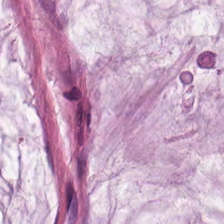H&E stain. Formalin-fixed paraffin-embedded section. Finding → mucin.
